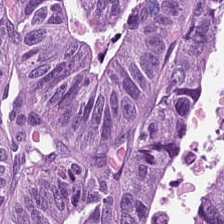H&E-stained tissue section. 0.5 µm per pixel — The predominant tissue is colorectal adenocarcinoma.
